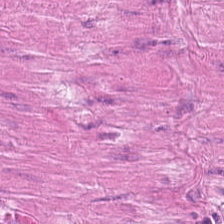H&E-stained tissue section. Showing smooth muscle.
